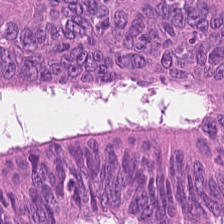Stain: H&E-stained tissue section.
Tissue class: tumor epithelium.
